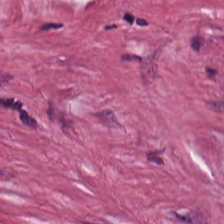Hematoxylin-and-eosin stained section. The tissue here is tumor stroma.
